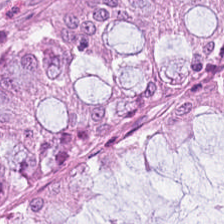Finding — non-neoplastic colon mucosa.
